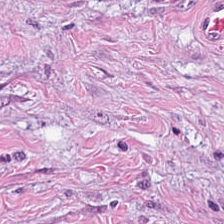H&E stain. 0.5 µm per pixel.
Showing tumor-associated stroma.
